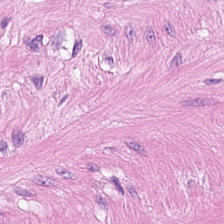Hematoxylin and eosin — Finding → smooth-muscle tissue.
